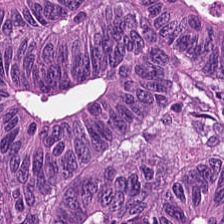H&E-stained tissue section; whole-slide-image patch. Showing malignant epithelium.
